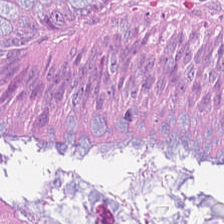Stain: H&E-stained tissue section.
Resolution: 0.5 µm per pixel.
Predominant tissue: colorectal adenocarcinoma epithelium.
